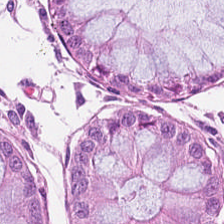Hematoxylin-and-eosin stained section; 0.5 µm/px — Tissue class — non-neoplastic colon mucosa.
